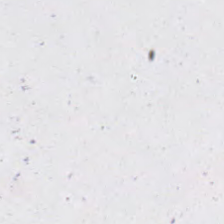H&E. Background (no tissue).
